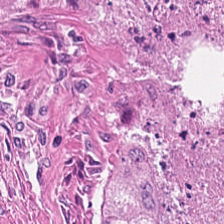Formalin-fixed paraffin-embedded section; H&E-stained tissue section; 224×224 px tile — {"tissue_type": "debris"}
